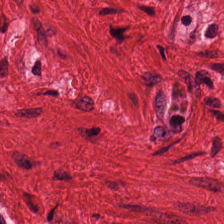H&E-stained tissue section · 224×224 px patch.
Predominantly smooth-muscle tissue.
